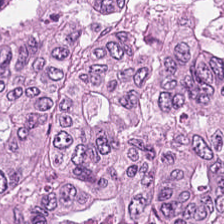Adenocarcinoma.
